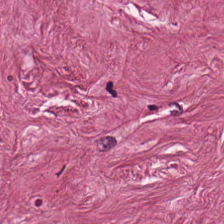H&E · 0.5 µm/px. The classification is tumor stroma.
